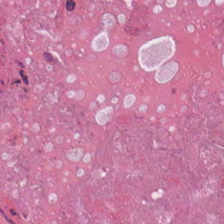Hematoxylin-and-eosin stained section.
Classification: debris.
